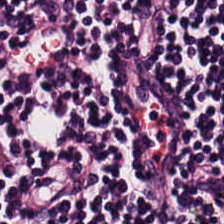Hematoxylin-and-eosin stained section; 0.5 µm/px — {"tissue_type": "lymphocytic infiltrate"}
